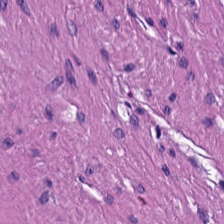H&E.
The predominant tissue is smooth muscle.
